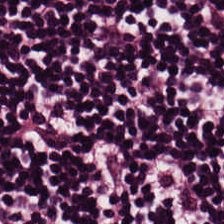Hematoxylin-and-eosin stained section — Impression → lymphoid infiltrate.
